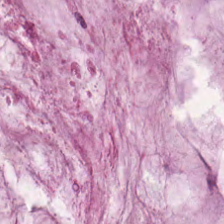H&E-stained tissue section; 224×224 px tile.
Showing extracellular mucin.
